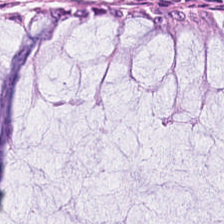H&E. Showing non-neoplastic colon mucosa.
